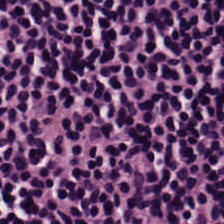H&E. This field is lymphocytic infiltrate.
